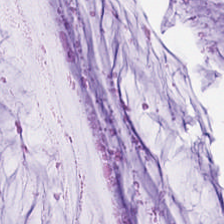H&E stain. 224×224 px patch. FFPE. This patch shows mucus.
